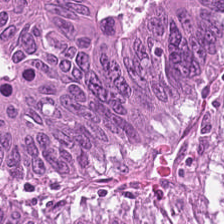Predominant tissue — colorectal adenocarcinoma.
